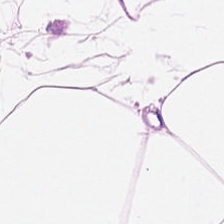H&E.
Showing fat tissue.
